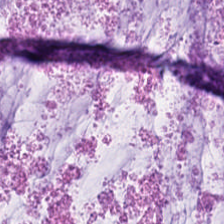WSI patch. H&E-stained tissue section. 0.5 µm/px. Q: What is the predominant tissue type?
A: The field shows mucin.
